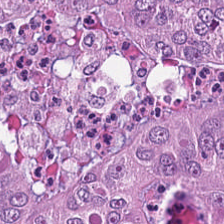Stain: H&E-stained tissue section.
Classification: adenocarcinoma.
